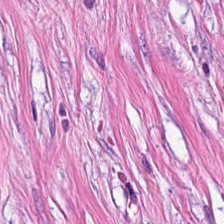224×224 pixel tile; hematoxylin and eosin — This field is desmoplastic stroma.
